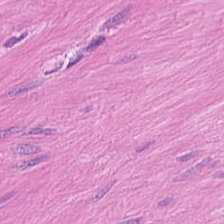H&E-stained tissue section. Predominantly smooth muscle.
